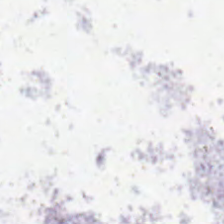FFPE tissue section. H&E stain. This field is background (no tissue).
